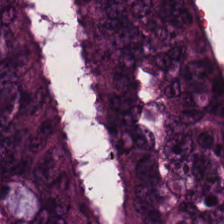H&E — The predominant tissue is colorectal adenocarcinoma epithelium.
